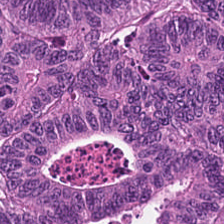H&E-stained tissue section. FFPE. Tissue class = tumor epithelium.
